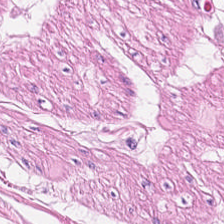Showing smooth-muscle tissue.
